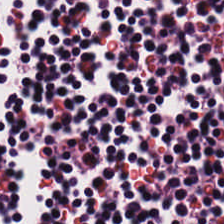20× equivalent magnification; H&E — Predominant tissue: lymphocytic infiltrate.
